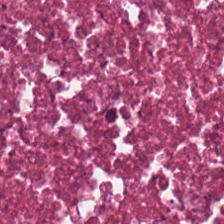Tissue type — debris.
